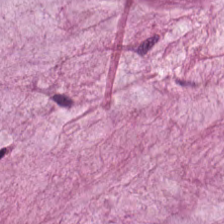H&E-stained tissue section; FFPE tissue section — {"tissue_type": "mucus"}
